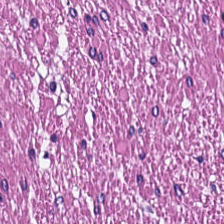H&E; 224×224 pixel tile; formalin-fixed paraffin-embedded section.
Predominantly smooth muscle.
